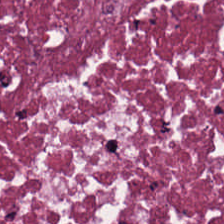Hematoxylin-and-eosin stained section · 20× equivalent magnification — The tissue here is cellular debris.
